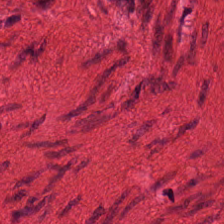H&E — Q: What does this patch show?
A: It is muscularis.
